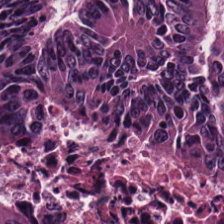Formalin-fixed paraffin-embedded section. Hematoxylin-and-eosin stained section.
This field is colorectal adenocarcinoma.
